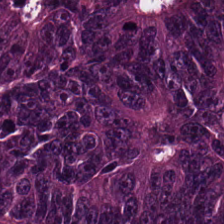H&E-stained tissue section.
Q: What tissue is shown?
A: Malignant epithelium.
